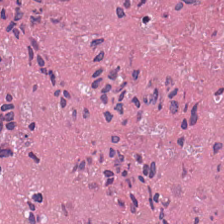Whole-slide-image patch · hematoxylin and eosin · FFPE tissue section — This field is necrotic debris.
